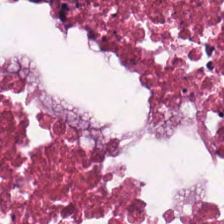FFPE tissue section; hematoxylin and eosin.
Tissue: cellular debris.
